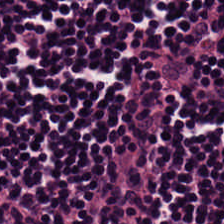224×224 px patch; H&E stain — Finding → lymphocytes.
